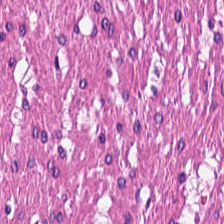Brightfield microscopy; H&E-stained tissue section.
Tissue class — muscularis.
